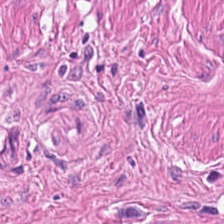0.5 µm/px; H&E-stained tissue section.
Tissue class — smooth-muscle tissue.
